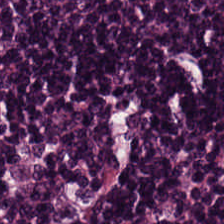Hematoxylin-and-eosin stained section — This field is lymphocyte aggregate.
